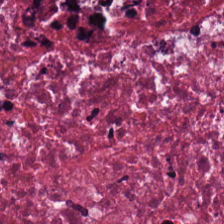H&E.
Impression — necrotic debris.
